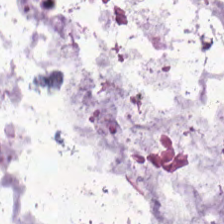Hematoxylin and eosin. Q: What type of tissue is this?
A: It is extracellular mucin.
